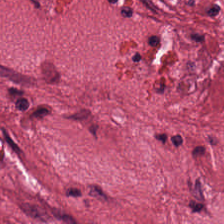224×224 px tile. 0.5 µm per pixel. H&E stain.
This patch shows tumor-associated stroma.
